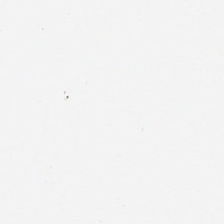Stain: H&E-stained tissue section.
Classification: background (no tissue).
